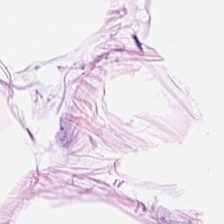H&E. Q: What tissue type is shown here?
A: It is adipose tissue.
